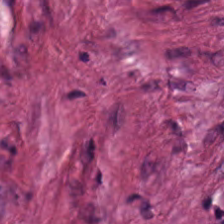H&E stain.
Impression → tumor stroma.
